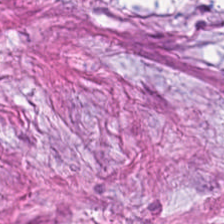Q: What is shown here?
A: The field shows tumor stroma.
